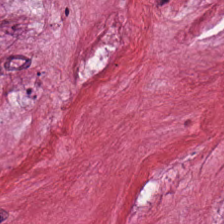Hematoxylin-and-eosin stained section — Predominant tissue = desmoplastic stroma.
